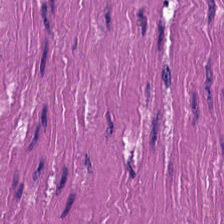Smooth muscle.
